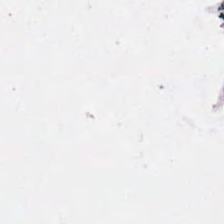H&E-stained tissue section — This patch shows background (no tissue).
